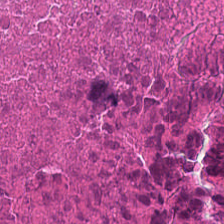FFPE; 20× equivalent magnification; hematoxylin and eosin — The predominant tissue is cellular debris.
